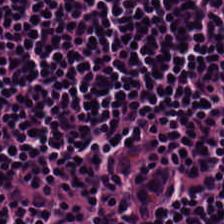Q: What is the predominant tissue type?
A: Lymphocytes.
